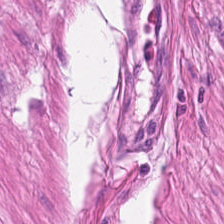H&E stain — Predominantly muscularis.
